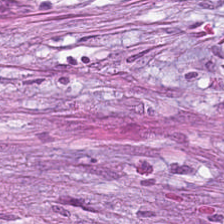Hematoxylin and eosin; 0.5 microns per pixel; 224×224 px patch. Histology → tumor-associated stroma.
